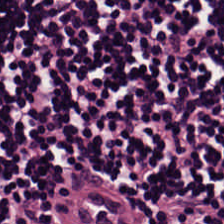Stain: H&E stain.
Tissue: lymphocytes.
